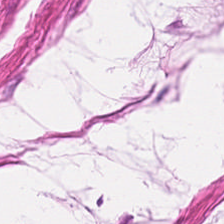H&E-stained tissue section. Predominantly smooth muscle.
